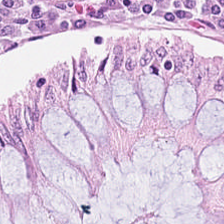WSI patch; H&E. The tissue class is non-neoplastic colon mucosa.
